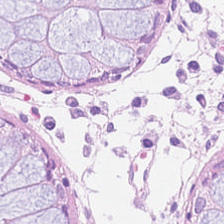Stain: hematoxylin and eosin.
Classification: normal colon mucosa.
